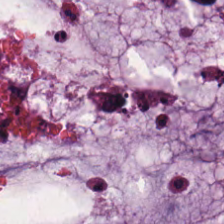{"tissue_type": "mucus"}
